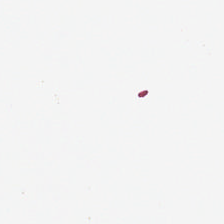H&E.
Q: What does this patch show?
A: The field shows background.
